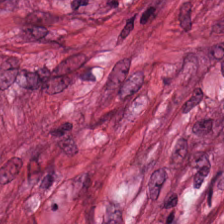224×224 px tile · H&E-stained tissue section. The tissue here is cancer-associated stroma.
